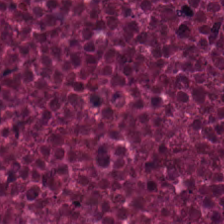H&E-stained tissue section showing cellular debris.
